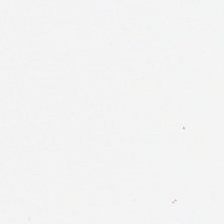Stain: hematoxylin-and-eosin stained section.
Content: empty background.
